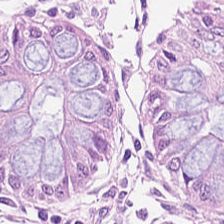Finding → benign colonic mucosa.
